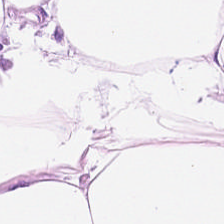Hematoxylin-and-eosin stained section. The tissue class is fat tissue.
